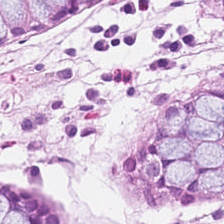224×224 pixel tile. H&E. This field is non-neoplastic colon mucosa.
